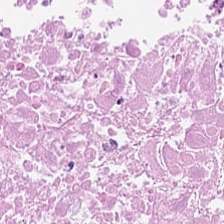Stain: H&E-stained tissue section.
Resolution: 0.5 µm/px.
Preparation: FFPE tissue section.
Tissue type: debris.
